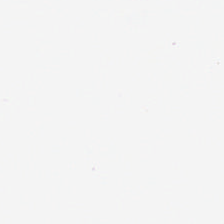{"content": "empty background"}
